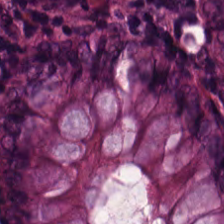Hematoxylin-and-eosin stained section. This patch shows benign colonic mucosa.
